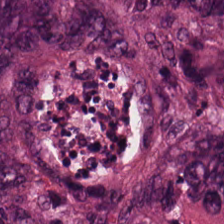Hematoxylin and eosin.
Q: What is shown in this field?
A: This is adenocarcinoma.
